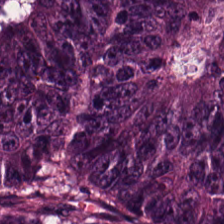H&E.
Predominantly adenocarcinoma.
